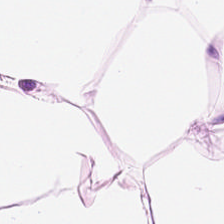Hematoxylin and eosin. 224×224 pixel tile.
The tissue type is fat tissue.
